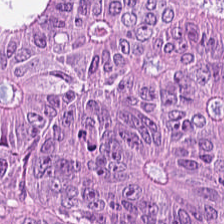Stain: H&E.
Predominant tissue: malignant epithelium.
